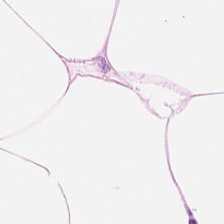Adipose tissue.
